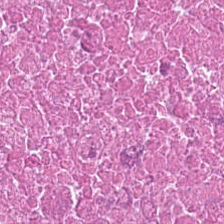The predominant tissue is debris.
